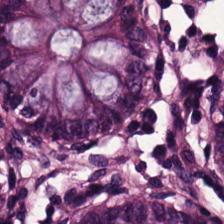Q: What is the predominant tissue type?
A: The field shows benign colonic mucosa.
